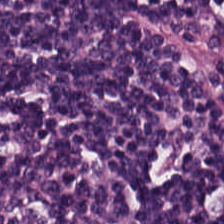224×224 px tile · H&E stain — Showing lymphocytes.
